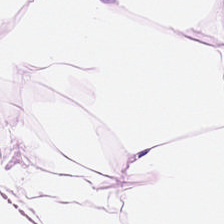Hematoxylin-and-eosin stained section. The predominant tissue is adipose.
